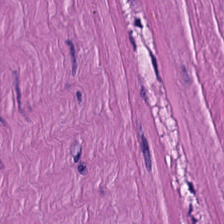Smooth-muscle tissue.
